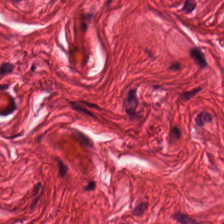224×224 px patch. Hematoxylin-and-eosin stained section. The tissue type is muscularis.
